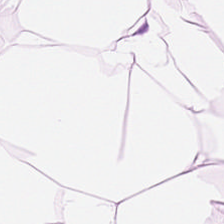Hematoxylin-and-eosin stained section.
Fat tissue.
